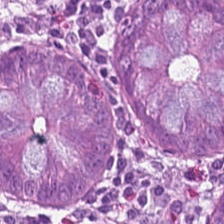Hematoxylin-and-eosin stained section — Non-neoplastic colon mucosa.
